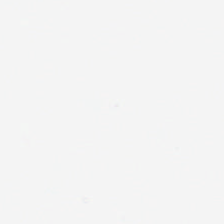Empty field — background (no tissue).
